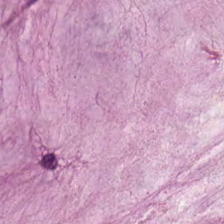H&E-stained tissue section. Formalin-fixed paraffin-embedded section.
Q: What is the predominant tissue type?
A: Extracellular mucin.
